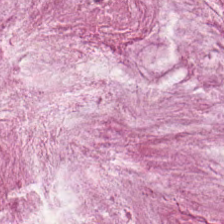Hematoxylin-and-eosin stained section.
Q: Classify this patch.
A: It is extracellular mucin.
